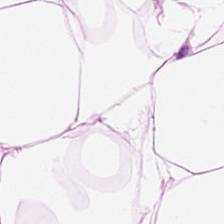0.5 µm/px · hematoxylin and eosin.
Impression — adipose.
